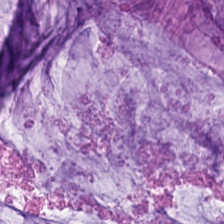The predominant tissue is mucus.
